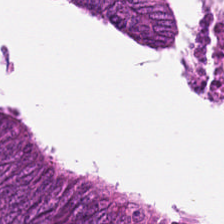Stain: H&E.
Resolution: 0.5 µm/px.
Predominant tissue: colorectal adenocarcinoma.
